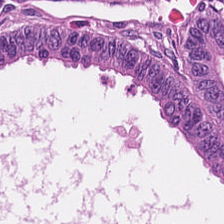H&E stain · FFPE tissue section — {"tissue_type": "malignant epithelium"}
